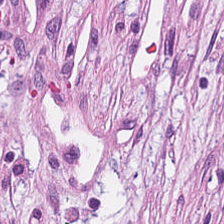H&E stain. Tumor-associated stroma.
